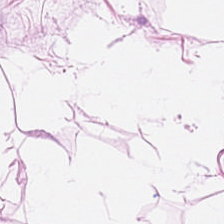H&E-stained tissue section.
{"tissue_type": "fat tissue"}
